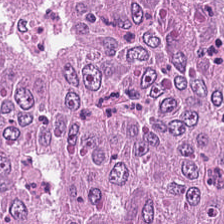The tissue here is malignant epithelium.
